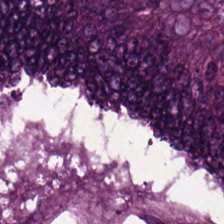Hematoxylin-and-eosin stained section.
{"tissue_type": "tumor epithelium"}
